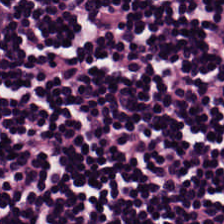Impression → lymphocyte aggregate.
